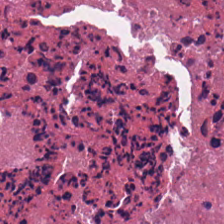Tissue type: cellular debris.
